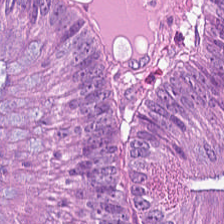FFPE tissue section · whole-slide-image patch · hematoxylin-and-eosin stained section.
Tissue type — tumor epithelium.
